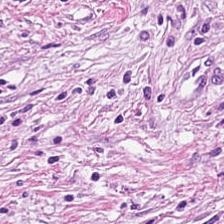H&E — Finding → tumor stroma.
